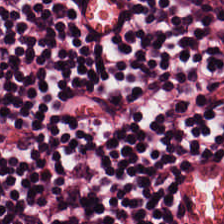H&E-stained tissue section — Tissue: lymphocytic infiltrate.
